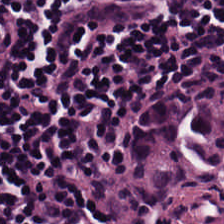H&E-stained tissue section · brightfield — {"tissue_type": "lymphocytes"}
